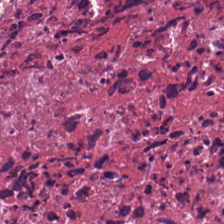224×224 px patch; 0.5 microns per pixel; hematoxylin and eosin.
Tissue class — cellular debris.
